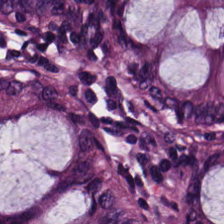H&E-stained tissue section. 20× equivalent magnification. Tissue type = normal colonic mucosa.
